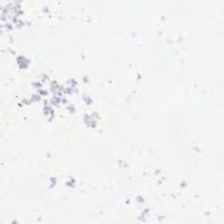Histology — no tissue.
